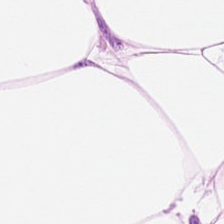Hematoxylin and eosin. Classification = adipose.
